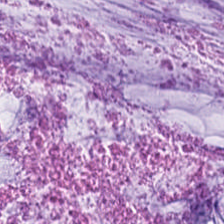Formalin-fixed paraffin-embedded section · H&E. Classification = extracellular mucin.
